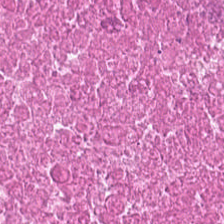Hematoxylin-and-eosin stained section — Q: What is shown in this field?
A: The field shows cellular debris.
